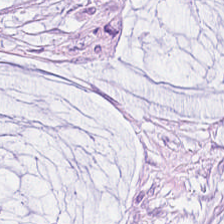Hematoxylin and eosin · formalin-fixed paraffin-embedded section — Tissue class: mucus.
